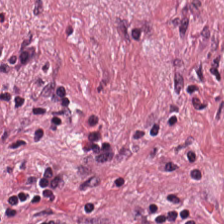20× equivalent magnification; H&E; 224×224 pixel tile. Q: What tissue is shown?
A: This is cancer-associated stroma.
